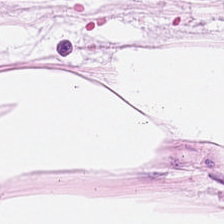Hematoxylin-and-eosin stained section · WSI patch — Predominantly adipocytes.
